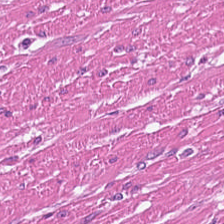H&E-stained tissue section.
This patch shows smooth muscle.
